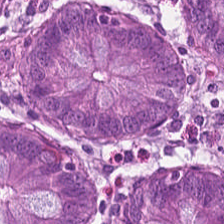H&E-stained tissue section. This patch shows non-neoplastic colon mucosa.
